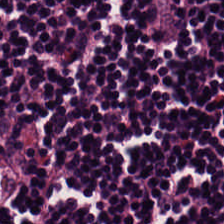Brightfield microscopy; hematoxylin-and-eosin stained section. Histology → lymphocytic infiltrate.
